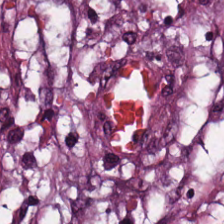H&E-stained section; the field shows tumor-associated stroma.
